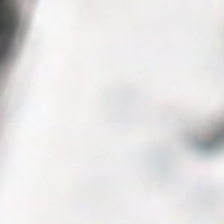Whole-slide-image patch; 224×224 pixel tile; hematoxylin-and-eosin stained section. Classification = empty background.
